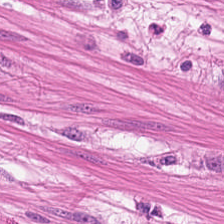H&E-stained tissue section showing smooth muscle.
